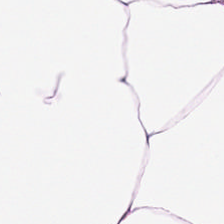Formalin-fixed paraffin-embedded section · H&E.
Predominantly fat tissue.
